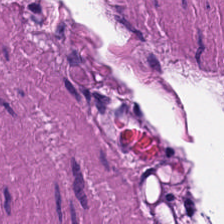Muscularis.
